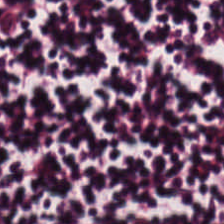H&E stain. Brightfield. Classification — lymphocytes.
